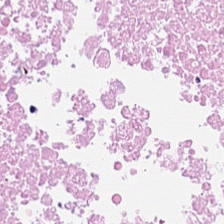0.5 µm/px. Hematoxylin and eosin — {"tissue_type": "cellular debris"}
